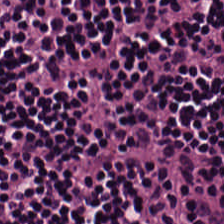Stain: hematoxylin and eosin.
Tile size: 224×224 px patch.
Tissue: lymphoid infiltrate.
